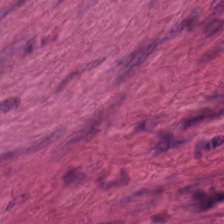Hematoxylin and eosin. Showing smooth-muscle tissue.
